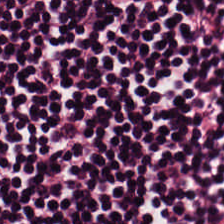This field is lymphocytes.
